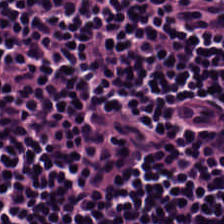Hematoxylin and eosin — Showing lymphoid infiltrate.
